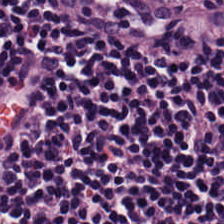0.5 microns per pixel · H&E stain. Showing lymphoid infiltrate.
